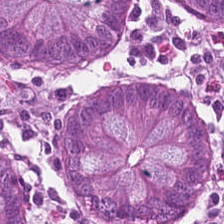H&E. Showing normal colon mucosa.
